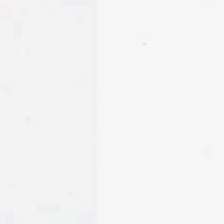H&E stain.
The content is background.
